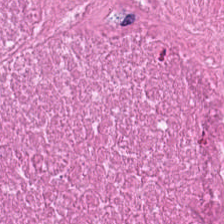H&E-stained tissue section · 224×224 pixel tile · 0.5 µm/px.
The predominant tissue is debris.
